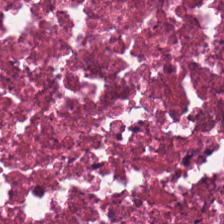H&E. Classification — debris.
